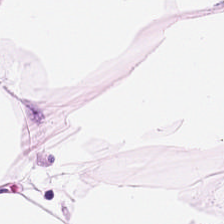Stain: hematoxylin-and-eosin stained section.
Predominant tissue: adipose.
